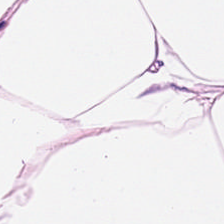20× equivalent magnification. Hematoxylin and eosin — This patch shows fat tissue.
